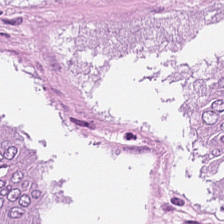Stain: H&E.
Preparation: FFPE tissue section.
Tile size: 224×224 px tile.
Tissue type: malignant epithelium.
